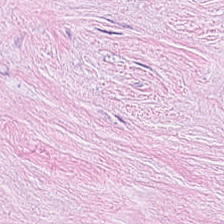H&E stain. The classification is tumor-associated stroma.
